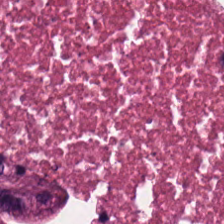Hematoxylin and eosin — Q: What is the predominant tissue type?
A: Debris.
